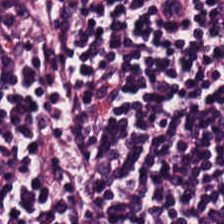H&E stain. Impression → lymphocytic infiltrate.
